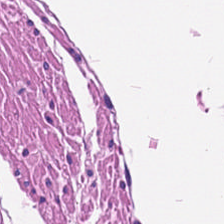Hematoxylin and eosin — Q: What does this patch show?
A: This is smooth-muscle tissue.
